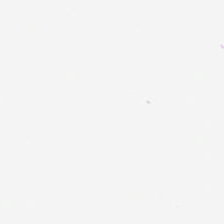No tissue present; background only.
